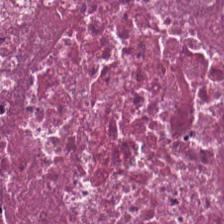FFPE tissue section; hematoxylin-and-eosin stained section. Q: What tissue is shown?
A: It is necrotic debris.
